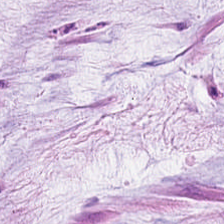Showing mucin.
